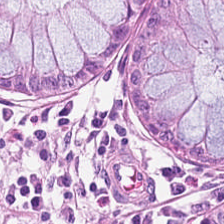Hematoxylin-and-eosin stained section.
Q: Identify the tissue.
A: It is non-neoplastic colon mucosa.
